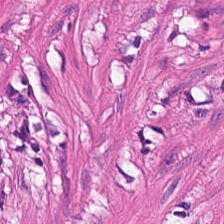Stain: hematoxylin and eosin.
Tile size: 224×224 px tile.
Preparation: FFPE tissue section.
Tissue type: smooth muscle.
